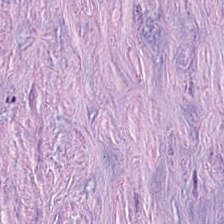0.5 µm/px; H&E-stained tissue section; brightfield microscopy.
Tumor-associated stroma.
